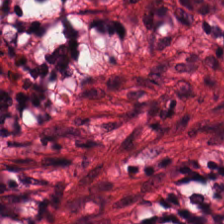Hematoxylin-and-eosin stained section. The tissue class is lymphocytic infiltrate.
